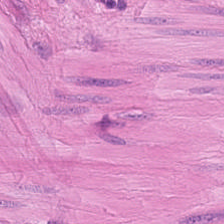This field is smooth-muscle tissue.
